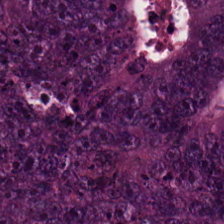H&E stain — Q: What is the predominant tissue type?
A: It is malignant epithelium.
